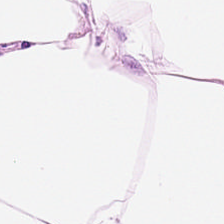Stain: hematoxylin and eosin.
Predominant tissue: adipose.
